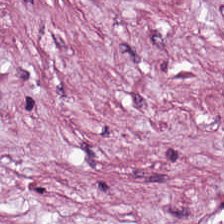Hematoxylin-and-eosin section: desmoplastic stroma.
